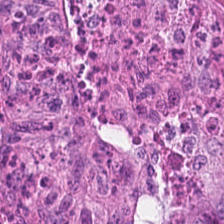H&E.
Predominantly tumor epithelium.
